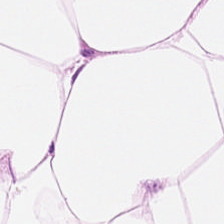Stain: H&E.
Classification: adipose tissue.
